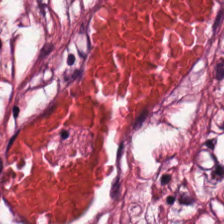Stain: H&E.
Tissue: cancer-associated stroma.
